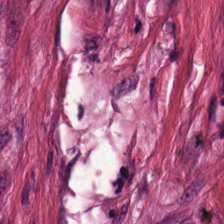The predominant tissue is desmoplastic stroma.
